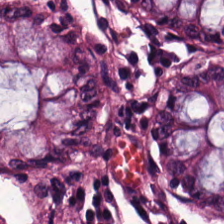Stain: H&E-stained tissue section.
Tissue: benign colonic mucosa.
